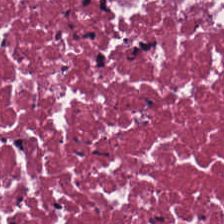Stain: H&E.
Tissue type: debris.
